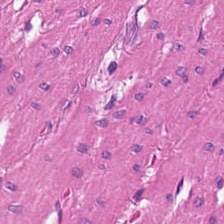H&E-stained tissue section. Tissue class — muscularis.
